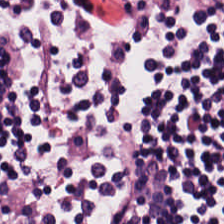H&E-stained tissue section; 224×224 pixel tile.
The tissue here is lymphocytic infiltrate.
